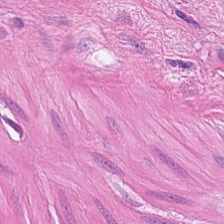Tissue — smooth-muscle tissue.
